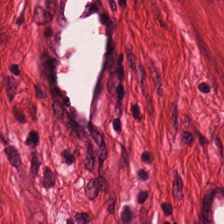H&E-stained tissue section. This patch shows muscularis.
